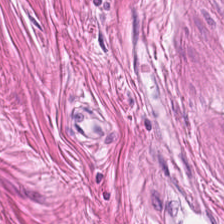H&E stain. The tissue type is smooth muscle.
